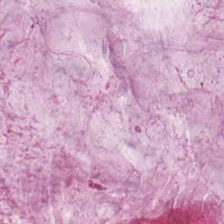Hematoxylin-and-eosin section: mucus.
